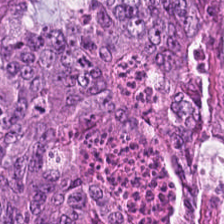H&E patch showing colorectal adenocarcinoma.
